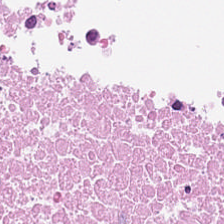Stain: H&E stain.
Tissue class: cellular debris.
